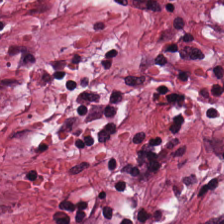H&E stain. Tissue — cancer-associated stroma.
